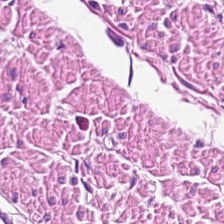Stain: H&E.
Tissue class: muscularis.
